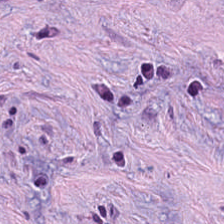Hematoxylin and eosin. 20× equivalent magnification.
Tumor stroma.
